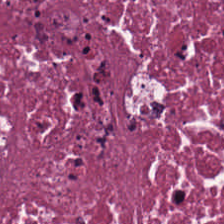H&E-stained tissue section — Impression — necrotic debris.
